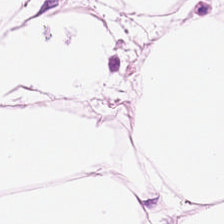Formalin-fixed paraffin-embedded section · hematoxylin and eosin · 224×224 px tile.
Q: What is shown here?
A: It is adipose.
